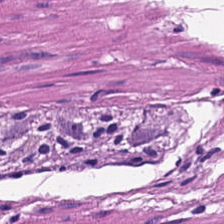FFPE · 224×224 px patch · H&E-stained tissue section.
{"tissue_type": "smooth muscle"}
